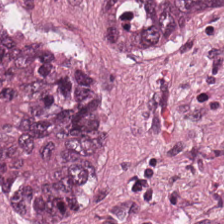Tissue = colorectal adenocarcinoma.
